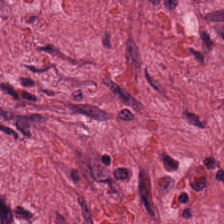Hematoxylin-and-eosin stained section — The predominant tissue is desmoplastic stroma.
